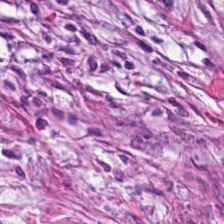Q: What type of tissue is this?
A: This is tumor-associated stroma.
